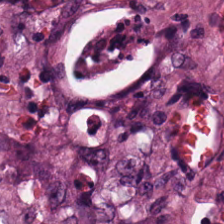Brightfield. Hematoxylin and eosin. Showing tumor-associated stroma.
